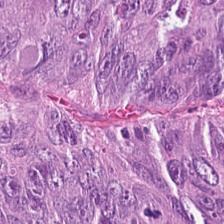Hematoxylin and eosin; 0.5 µm/px.
Finding — colorectal adenocarcinoma.
